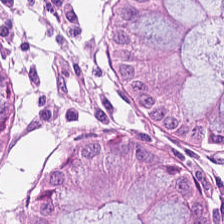The tissue is non-neoplastic colon mucosa.
